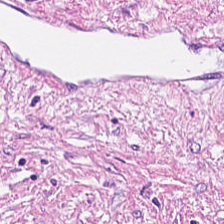Tissue = tumor-associated stroma.
